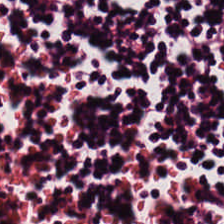H&E.
This patch shows lymphocyte aggregate.
